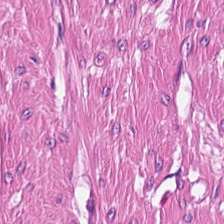Brightfield microscopy · H&E stain — Q: What tissue type is shown here?
A: This is muscularis.
